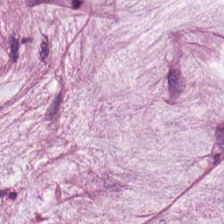224×224 px tile; brightfield microscopy; H&E stain — Tissue = mucus.
